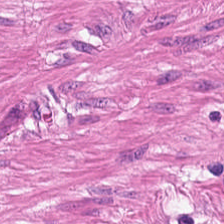Hematoxylin-and-eosin stained section.
The predominant tissue is smooth muscle.
